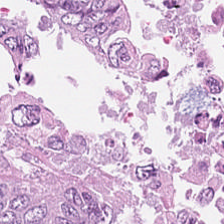H&E.
This field is colorectal adenocarcinoma.
